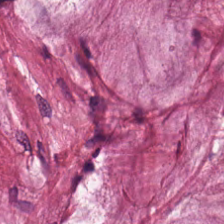H&E-stained tissue section — Predominantly mucus.
